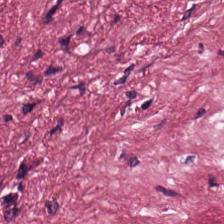Predominantly cancer-associated stroma.
